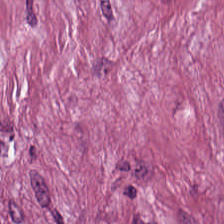H&E. Q: What is shown in this field?
A: The field shows desmoplastic stroma.
